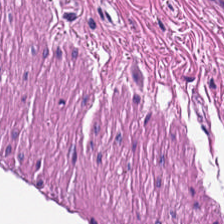0.5 µm/px · H&E stain — Tissue: muscularis.
